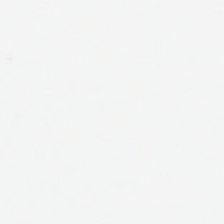H&E stain; WSI patch. This field is background (no tissue).
